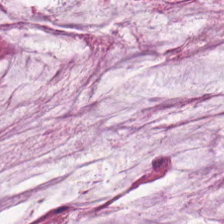H&E.
This patch shows mucin.
